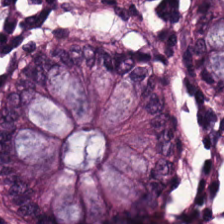Brightfield microscopy; H&E stain. Normal colonic mucosa.
